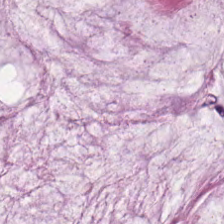Brightfield microscopy · hematoxylin-and-eosin stained section — Mucin.
